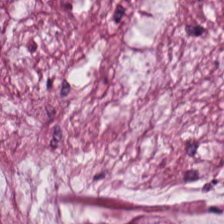H&E. Q: What does this patch show?
A: It is mucin.
